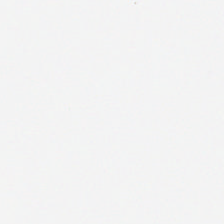H&E stain — Q: What is shown here?
A: The field shows background (no tissue).
